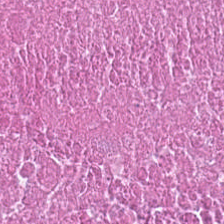Q: What is the predominant tissue type?
A: It is cellular debris.
